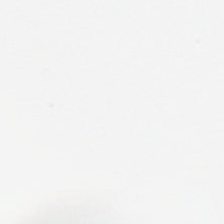224×224 px tile; 0.5 µm per pixel; H&E. Q: Classify this patch.
A: No tissue.
